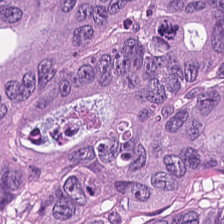H&E stain.
The tissue is tumor epithelium.
